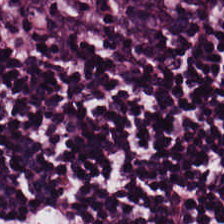Formalin-fixed paraffin-embedded section. Whole-slide-image patch. H&E stain.
Predominant tissue = lymphoid infiltrate.
